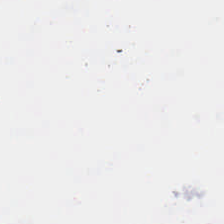Stain: hematoxylin and eosin.
Classification: background.
